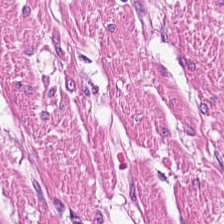Hematoxylin-and-eosin stained section. This patch shows smooth muscle.
